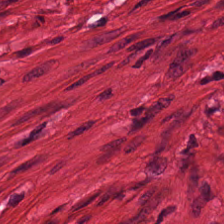Hematoxylin and eosin — This field is muscularis.
